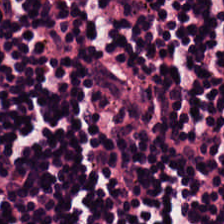Hematoxylin and eosin.
Impression → lymphocytic infiltrate.
